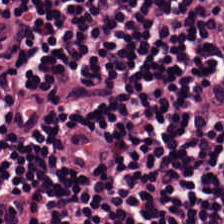H&E — Q: What type of tissue is this?
A: The field shows lymphocyte aggregate.
